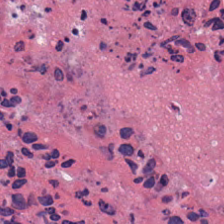H&E-stained tissue section. Whole-slide-image patch. Predominantly necrotic debris.
